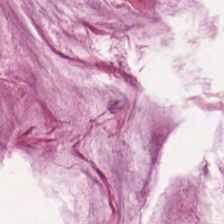H&E-stained tissue section showing mucus.
